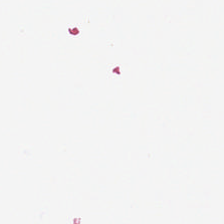0.5 µm per pixel · FFPE · hematoxylin-and-eosin stained section — The field content is no tissue.
